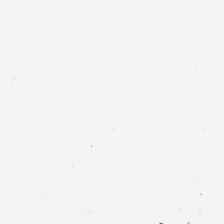WSI patch; H&E stain — Q: What does this patch show?
A: This is empty background.
